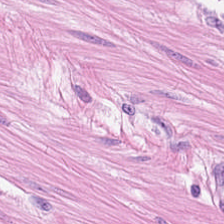H&E-stained tissue section.
Finding → muscularis.
